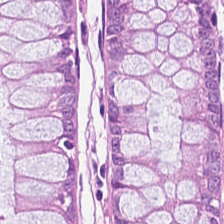Hematoxylin and eosin · FFPE — Predominant tissue: normal colon mucosa.
